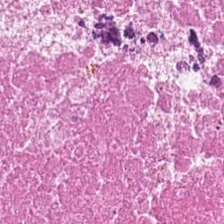{"tissue_type": "cellular debris"}
